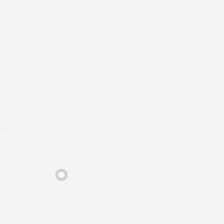H&E-stained tissue section. 0.5 microns per pixel — Content: background.
